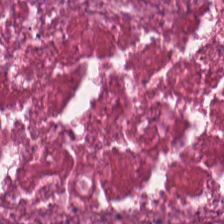Hematoxylin-and-eosin stained section.
The tissue here is necrotic debris.
